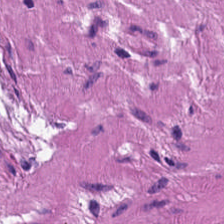Stain: H&E stain.
Tissue: muscularis.
